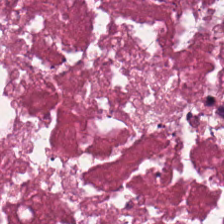The predominant tissue is cellular debris.
